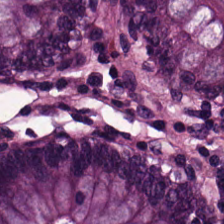H&E.
The tissue here is normal colon mucosa.
